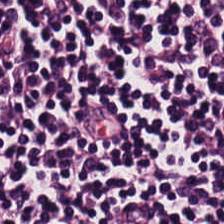Hematoxylin and eosin · brightfield · 224×224 px tile.
The tissue here is lymphoid infiltrate.
